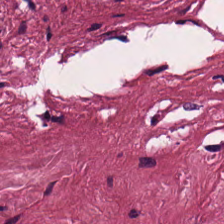WSI patch · H&E · 224×224 px patch — The tissue is cancer-associated stroma.
